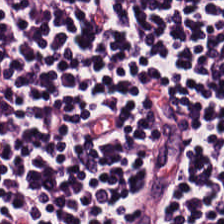Hematoxylin-and-eosin section: lymphocytic infiltrate.
